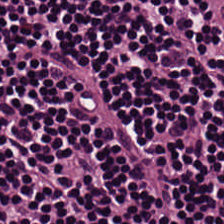Hematoxylin and eosin.
Tissue class: lymphoid infiltrate.
